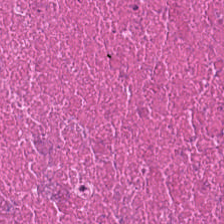Q: What does this patch show?
A: It is cellular debris.
